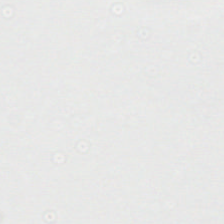Finding → no tissue.
